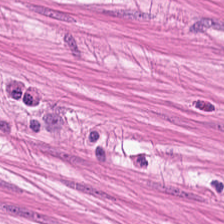Brightfield; H&E — Predominantly smooth-muscle tissue.
